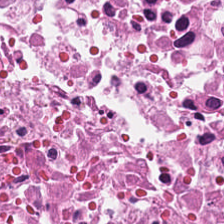H&E-stained tissue section showing cellular debris.
